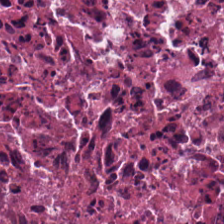0.5 µm/px; H&E stain — Tissue — debris.
